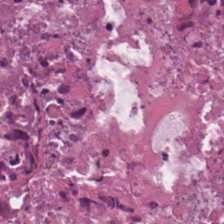Tissue type = necrotic debris.
